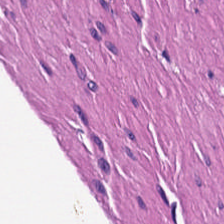Tissue — muscularis.
